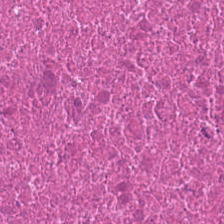This patch shows necrotic debris.
